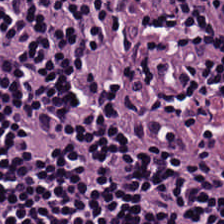Stain: H&E.
Acquisition: WSI patch.
Resolution: 0.5 µm/px.
Predominant tissue: lymphocytic infiltrate.
